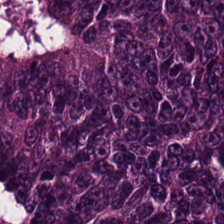Formalin-fixed paraffin-embedded section. 224×224 pixel tile. H&E-stained tissue section. This field is colorectal adenocarcinoma epithelium.
